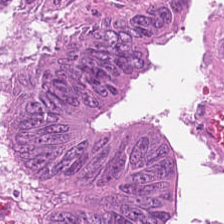Hematoxylin and eosin. Tissue class: tumor epithelium.
